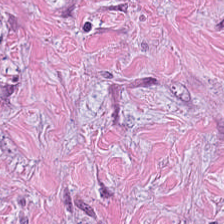Predominant tissue — cancer-associated stroma.
